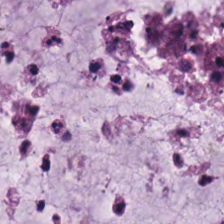Hematoxylin-and-eosin stained section — Histology — extracellular mucin.
